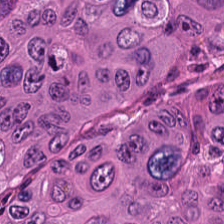Tissue: colorectal adenocarcinoma epithelium.
